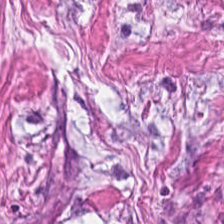H&E stain · 0.5 µm per pixel. {"tissue_type": "cancer-associated stroma"}
